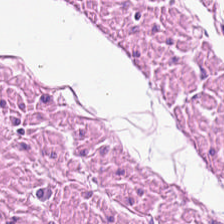H&E stain.
This patch shows smooth muscle.
